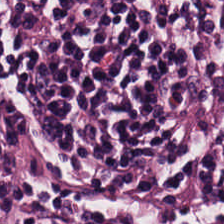Q: What type of tissue is this?
A: It is lymphocytic infiltrate.
